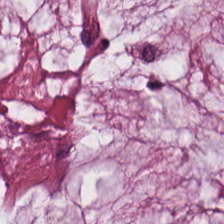Hematoxylin and eosin. Tissue type = extracellular mucin.
